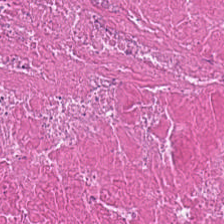224×224 px tile; hematoxylin and eosin.
This field is cellular debris.
